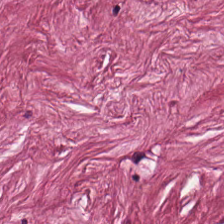H&E-stained tissue section showing tumor stroma.
